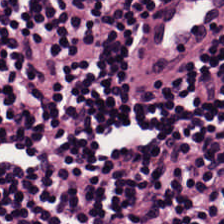224×224 px patch; H&E stain. Q: What is shown in this field?
A: It is lymphoid infiltrate.
